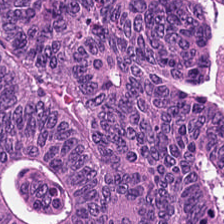Stain: H&E stain.
Acquisition: whole-slide-image patch.
Classification: colorectal adenocarcinoma epithelium.
